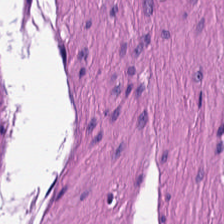H&E stain. Tissue class — muscularis.
